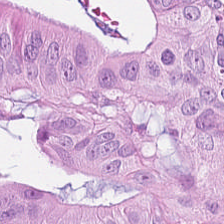Colorectal adenocarcinoma epithelium.
